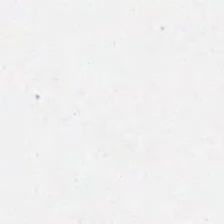H&E stain — Q: What is shown here?
A: No tissue.
